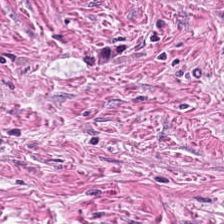Showing desmoplastic stroma.
